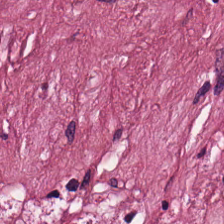0.5 microns per pixel; hematoxylin and eosin; whole-slide-image patch.
Showing tumor stroma.
